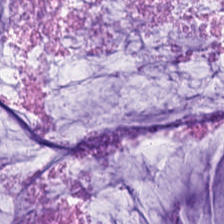Hematoxylin and eosin · 224×224 px tile — This field is mucin.
